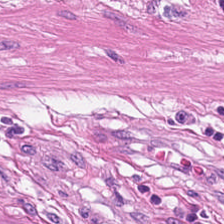Hematoxylin and eosin.
{"tissue_type": "muscularis"}
